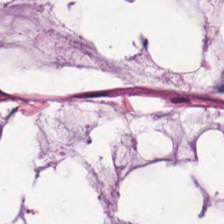Hematoxylin-and-eosin stained section.
Classification: mucus.
